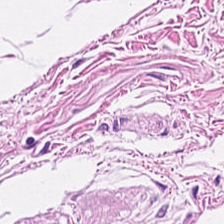Stain: H&E.
Tissue: smooth muscle.
